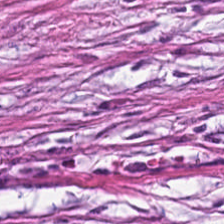Predominant tissue: cancer-associated stroma.
